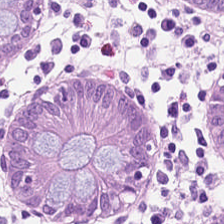Hematoxylin and eosin.
Classification = normal colonic mucosa.
